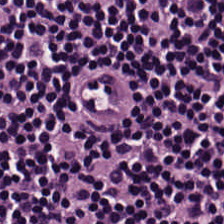0.5 µm/px · H&E stain.
Predominantly lymphoid infiltrate.
